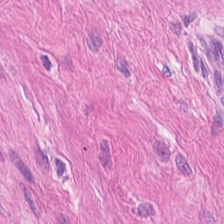H&E stain — {"tissue_type": "smooth muscle"}
